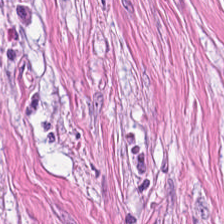H&E-stained section; the field shows tumor-associated stroma.
